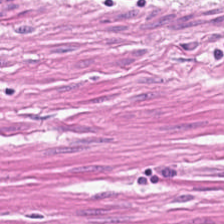FFPE · hematoxylin-and-eosin stained section — Q: Identify the tissue.
A: Smooth-muscle tissue.
